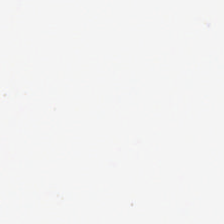Hematoxylin-and-eosin stained section — This field is background (no tissue).
